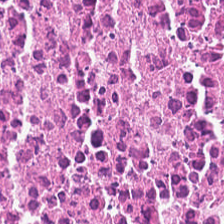H&E. Q: What tissue type is shown here?
A: Debris.
